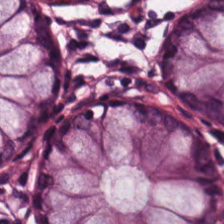Hematoxylin and eosin.
Benign colonic mucosa.
